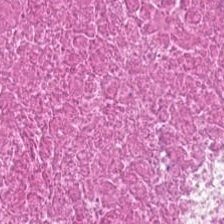H&E-stained tissue section — Necrotic debris.
